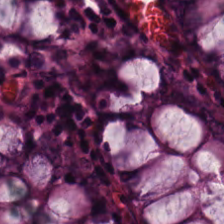20× equivalent magnification · H&E stain · 224×224 pixel tile. Q: Identify the tissue.
A: The field shows benign colonic mucosa.
